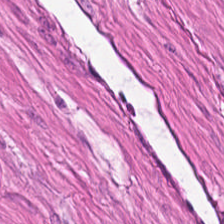H&E-stained tissue section. FFPE tissue section. This patch shows smooth muscle.
